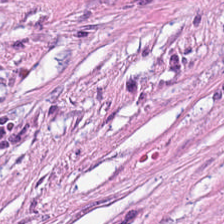Q: What is shown here?
A: It is tumor stroma.
